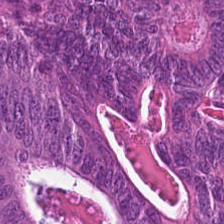Hematoxylin and eosin.
The tissue here is colorectal adenocarcinoma epithelium.
